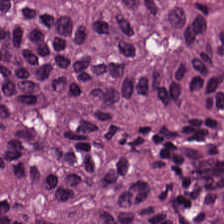Hematoxylin and eosin.
Colorectal adenocarcinoma epithelium.
